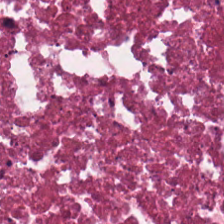H&E · brightfield — Debris.
